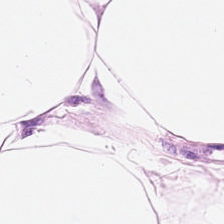H&E. Classification: fat tissue.
